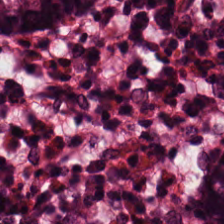Hematoxylin-and-eosin stained section. Q: What is shown here?
A: Normal colon mucosa.
